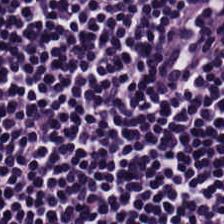H&E-stained tissue section; brightfield microscopy. Q: What tissue is shown?
A: The field shows lymphocyte aggregate.
